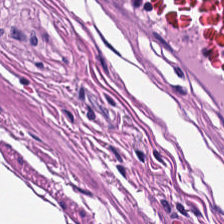Hematoxylin-and-eosin stained section.
Tissue type: muscularis.
